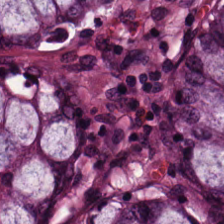Finding — normal colonic mucosa.
